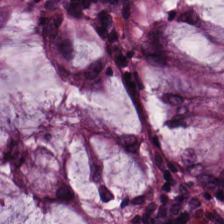The tissue type is normal colon mucosa.
